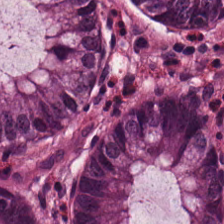Stain: H&E.
Predominant tissue: normal colon mucosa.
